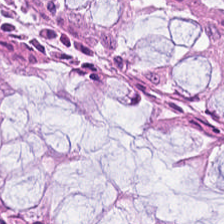H&E. 0.5 microns per pixel. Brightfield — {"tissue_type": "normal colon mucosa"}
